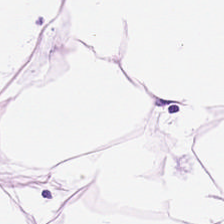Stain: H&E-stained tissue section.
Tile size: 224×224 pixel tile.
Tissue class: adipose tissue.
